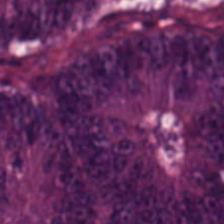0.5 µm/px; whole-slide-image patch; H&E.
This field is malignant epithelium.
